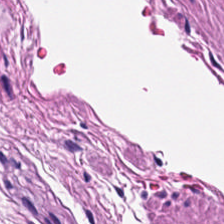H&E stain; FFPE — Q: What tissue type is shown here?
A: Muscularis.
